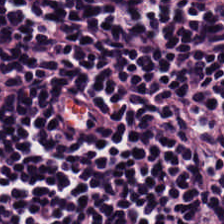H&E stain. FFPE tissue section — The tissue class is lymphocyte aggregate.
